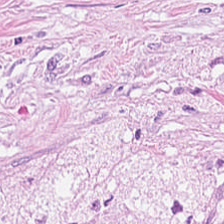Hematoxylin and eosin. Formalin-fixed paraffin-embedded section. The predominant tissue is desmoplastic stroma.
